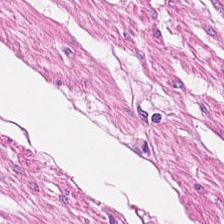Smooth-muscle tissue.
